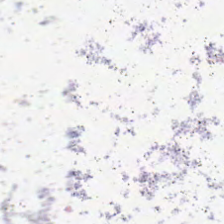Hematoxylin-and-eosin stained section.
Empty field — background (no tissue).
